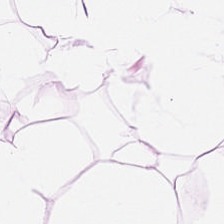Whole-slide-image patch; H&E stain.
Predominant tissue: adipose tissue.
